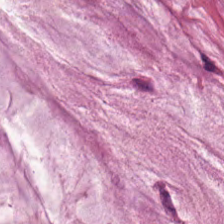H&E-stained tissue section; FFPE tissue section.
Q: What is the predominant tissue type?
A: It is extracellular mucin.
